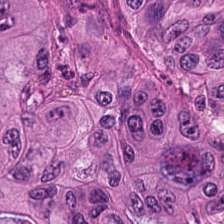H&E stain.
Tissue class = colorectal adenocarcinoma.
